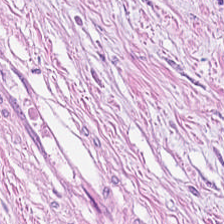H&E stain — The predominant tissue is tumor stroma.
